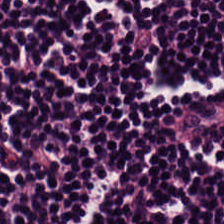Hematoxylin-and-eosin section: lymphocytes.
